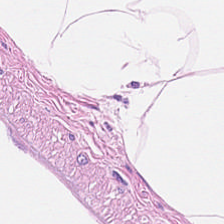Adipocytes.
